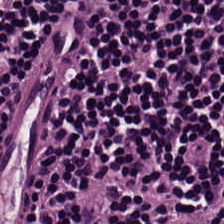H&E-stained tissue section. Q: Classify this patch.
A: Lymphocytes.
